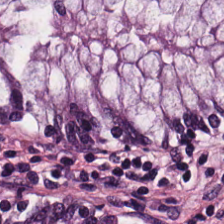224×224 px tile · H&E-stained tissue section.
The tissue here is non-neoplastic colon mucosa.
